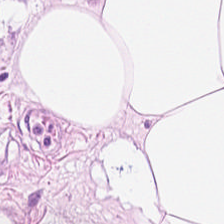Stain: H&E.
Tissue type: adipose tissue.
